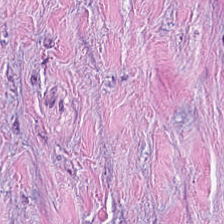Hematoxylin-and-eosin stained section; brightfield — The tissue here is tumor stroma.
